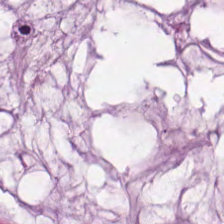Formalin-fixed paraffin-embedded section. Hematoxylin-and-eosin stained section — Tissue = mucus.
